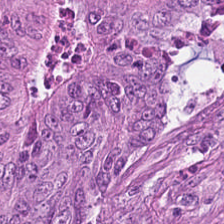Hematoxylin-and-eosin stained section · 224×224 px tile · brightfield microscopy. The tissue here is adenocarcinoma.
